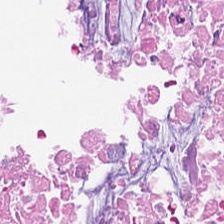The tissue is cellular debris.
